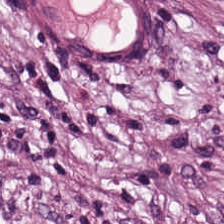Hematoxylin-and-eosin stained section.
Desmoplastic stroma.
